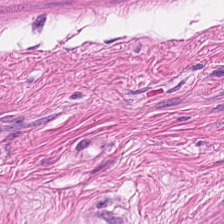H&E patch showing smooth-muscle tissue.
